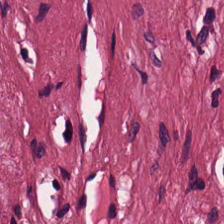Stain: H&E.
Tissue type: desmoplastic stroma.
